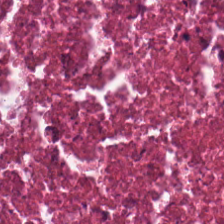FFPE tissue section; H&E stain.
Q: What type of tissue is this?
A: It is necrotic debris.
